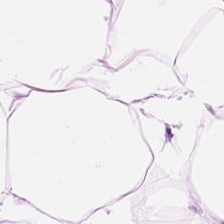Hematoxylin and eosin · 0.5 µm/px. Q: What does this patch show?
A: Fat tissue.
